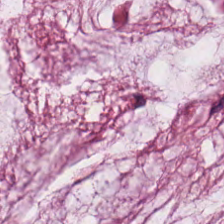Predominant tissue: mucus.
